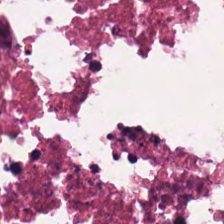Showing cellular debris.
